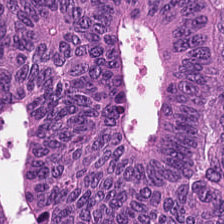224×224 px patch; FFPE tissue section; H&E-stained tissue section.
Q: What tissue is shown?
A: This is colorectal adenocarcinoma epithelium.
